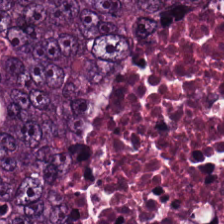Hematoxylin-and-eosin stained section. The tissue type is colorectal adenocarcinoma epithelium.
